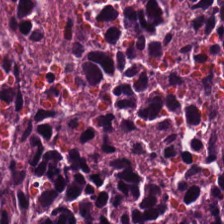H&E stain. WSI patch — The tissue here is lymphocyte aggregate.
